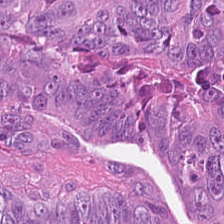H&E. 224×224 pixel tile.
Q: What is shown here?
A: This is colorectal adenocarcinoma.
